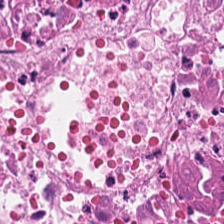Stain: H&E stain.
Preparation: FFPE.
Tissue class: necrotic debris.
